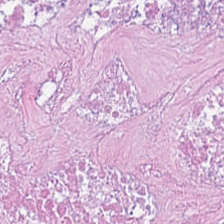224×224 px tile. Hematoxylin and eosin. FFPE. {"tissue_type": "cellular debris"}
